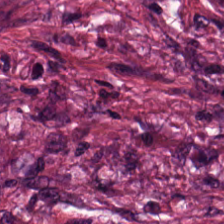H&E-stained tissue section; WSI patch; 224×224 px patch — The predominant tissue is tumor stroma.
